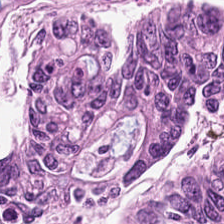Tissue type = colorectal adenocarcinoma.
